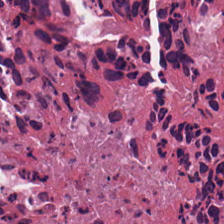Necrotic debris.
